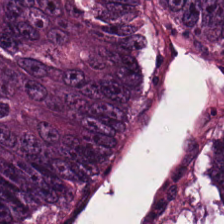H&E. Tissue class: colorectal adenocarcinoma epithelium.
